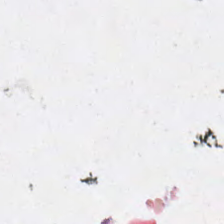Q: What is shown here?
A: The field shows empty background.
